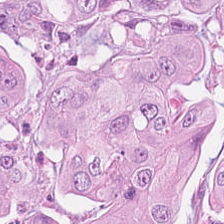0.5 microns per pixel · formalin-fixed paraffin-embedded section · H&E-stained tissue section — This field is tumor epithelium.
